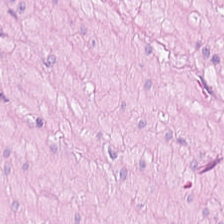WSI patch · H&E stain — Q: What tissue type is shown here?
A: The field shows muscularis.
